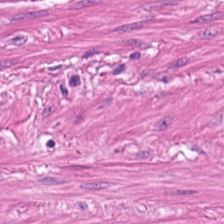H&E-stained tissue section showing smooth muscle.
